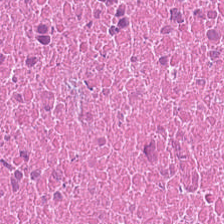Hematoxylin-and-eosin section: cellular debris.
